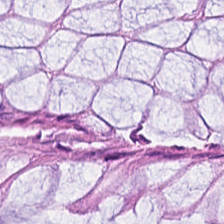This field is normal colon mucosa.
